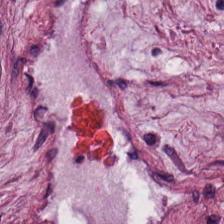H&E-stained tissue section.
Predominantly tumor-associated stroma.
